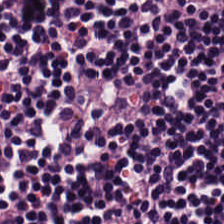H&E stain · 224×224 pixel tile · 0.5 µm per pixel. Q: Identify the tissue.
A: This is lymphocytes.
